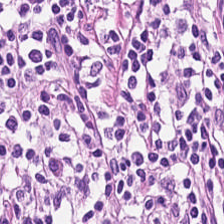Hematoxylin and eosin — Predominant tissue = lymphocytes.
